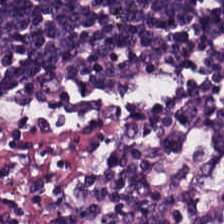H&E patch showing lymphoid infiltrate.
